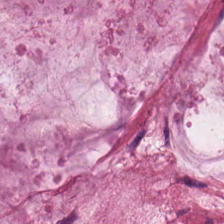Hematoxylin-and-eosin stained section.
Mucin.
